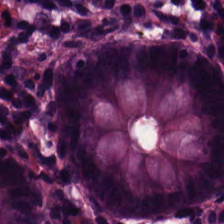{"tissue_type": "benign colonic mucosa"}
